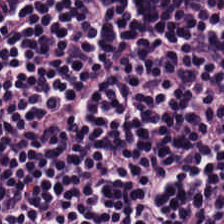Q: What is shown in this field?
A: The field shows lymphocytes.
